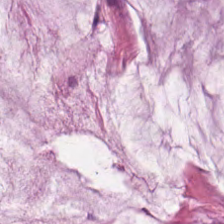Formalin-fixed paraffin-embedded section. Brightfield microscopy. H&E.
Tissue type = extracellular mucin.
